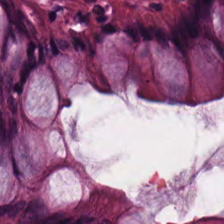0.5 µm per pixel. H&E.
Predominantly benign colonic mucosa.
